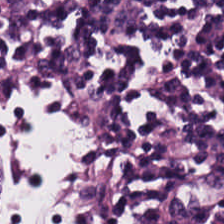H&E. FFPE tissue section. 0.5 microns per pixel — Q: Identify the tissue.
A: The field shows lymphocytes.
